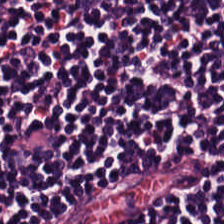H&E-stained tissue section. Predominantly lymphocytic infiltrate.
